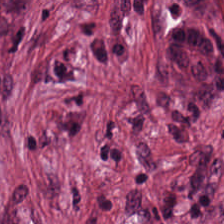WSI patch · H&E stain.
Q: What is the predominant tissue type?
A: The field shows tumor-associated stroma.
